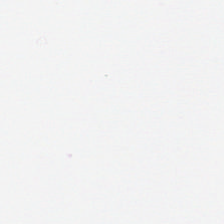Formalin-fixed paraffin-embedded section. H&E-stained tissue section. WSI patch.
Q: What is shown here?
A: The field shows background (no tissue).
